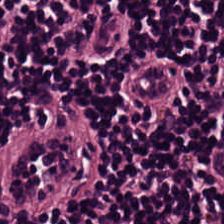Hematoxylin and eosin. Tissue type: lymphoid infiltrate.
